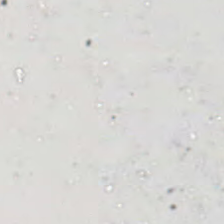224×224 px tile; hematoxylin-and-eosin stained section. Field content — no tissue.
